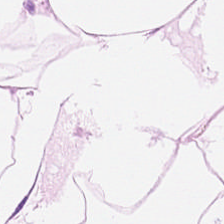Stain: H&E.
Acquisition: brightfield.
Tissue: adipose.
